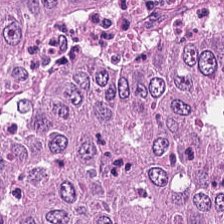Stain: hematoxylin and eosin.
Tissue class: colorectal adenocarcinoma epithelium.
